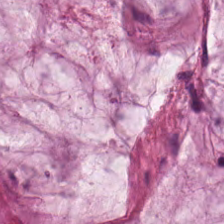Stain: hematoxylin and eosin.
Tissue: mucus.
